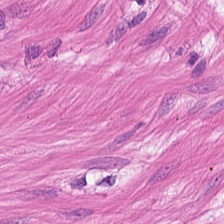H&E stain — Histology → smooth muscle.
